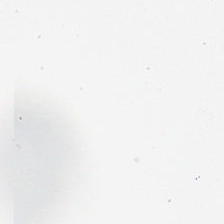Hematoxylin-and-eosin stained section. This patch shows background (no tissue).
